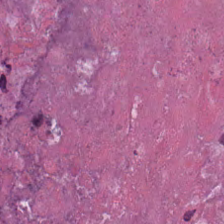224×224 px tile. Brightfield microscopy. H&E-stained tissue section — Q: Classify this patch.
A: It is debris.
